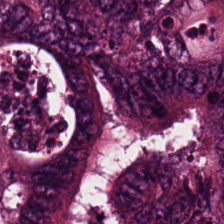Hematoxylin and eosin. Classification — colorectal adenocarcinoma.
